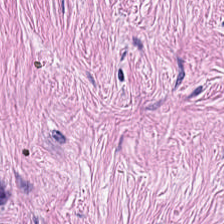{"tissue_type": "tumor stroma"}
